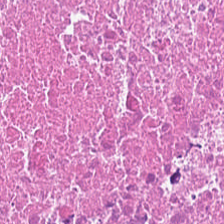224×224 px patch · FFPE tissue section · H&E — Tissue — cellular debris.
